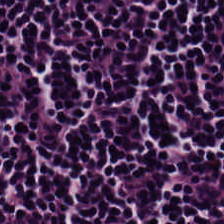Hematoxylin and eosin. Whole-slide-image patch. Showing lymphocytes.
